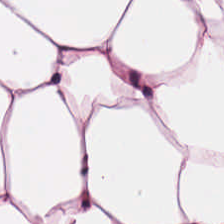Tissue = adipocytes.
